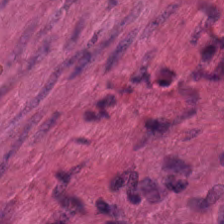H&E-stained tissue section — Q: What is shown in this field?
A: The field shows muscularis.
